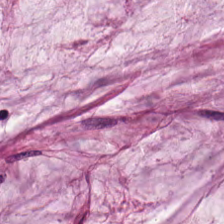Brightfield. 224×224 px tile. H&E.
Tissue class: mucus.
